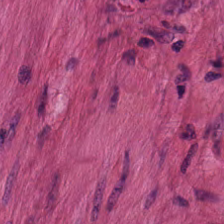Showing smooth-muscle tissue.
